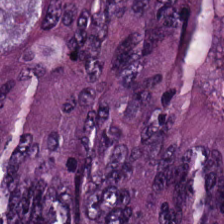Classification: tumor epithelium.
